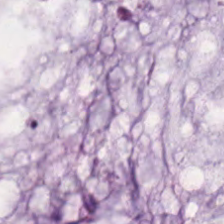Hematoxylin-and-eosin stained section.
The predominant tissue is mucus.
